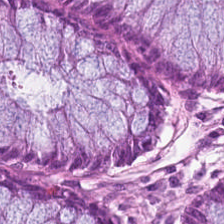This field is benign colonic mucosa.
